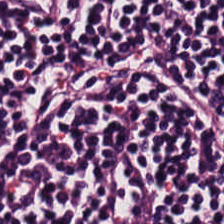This field is lymphocytes.
